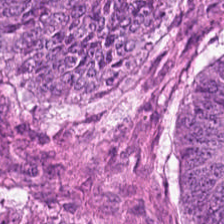H&E patch showing colorectal adenocarcinoma epithelium.
